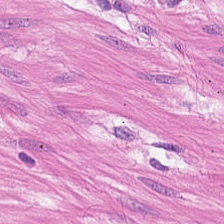Stain: hematoxylin and eosin.
Resolution: 20× equivalent magnification.
Tissue: muscularis.
